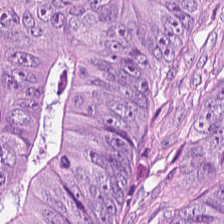0.5 µm/px · hematoxylin-and-eosin stained section. Tissue: tumor epithelium.
